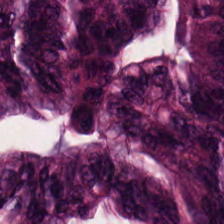224×224 px patch · hematoxylin and eosin · brightfield microscopy.
The tissue class is tumor epithelium.
